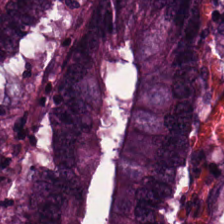224×224 px patch. Hematoxylin and eosin — The predominant tissue is adenocarcinoma.
